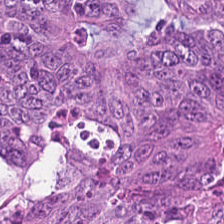Tissue type: malignant epithelium.
